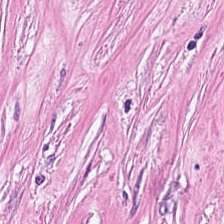The predominant tissue is desmoplastic stroma.
